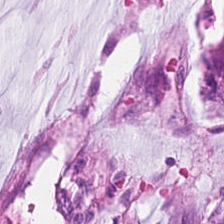FFPE tissue section · hematoxylin-and-eosin stained section. Showing mucus.
